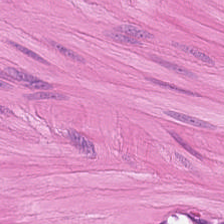Formalin-fixed paraffin-embedded section · hematoxylin-and-eosin stained section.
Tissue class — smooth-muscle tissue.
